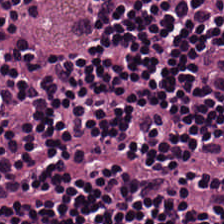Stain: hematoxylin-and-eosin stained section.
Tissue: lymphoid infiltrate.
